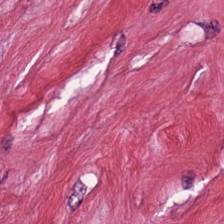Stain: H&E-stained tissue section.
Tissue type: tumor stroma.
